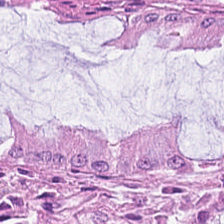Stain: H&E.
Tile size: 224×224 px patch.
Predominant tissue: normal colon mucosa.
